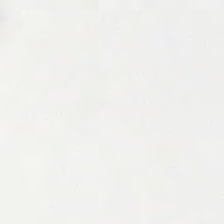H&E stain.
Q: What does this patch show?
A: The field shows background (no tissue).
